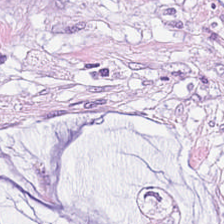H&E stain — The tissue here is mucin.
